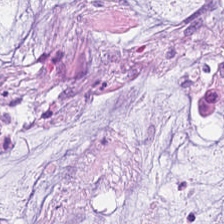Stain: hematoxylin and eosin.
Resolution: 0.5 µm per pixel.
Predominant tissue: mucus.
